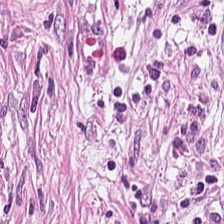This field is tumor stroma.
